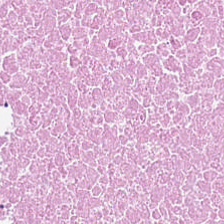224×224 pixel tile. 0.5 microns per pixel. Hematoxylin-and-eosin stained section. The predominant tissue is debris.
